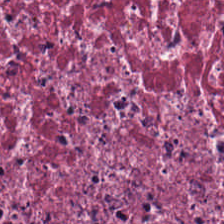Tissue class: tumor stroma.
